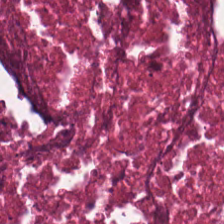Stain: H&E-stained tissue section.
Resolution: 0.5 µm per pixel.
Preparation: formalin-fixed paraffin-embedded section.
Tissue class: necrotic debris.
